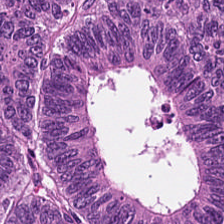Hematoxylin and eosin. 224×224 pixel tile. Brightfield microscopy.
Q: What is shown in this field?
A: The field shows colorectal adenocarcinoma epithelium.
